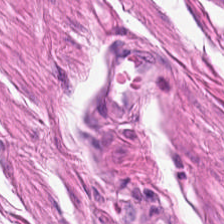Q: What tissue is shown?
A: This is smooth-muscle tissue.
